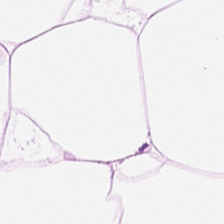Hematoxylin and eosin.
Adipose.
